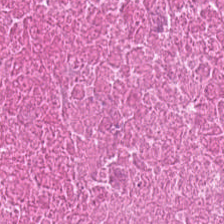Hematoxylin-and-eosin section: necrotic debris.
